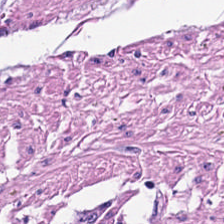H&E stain; FFPE; 224×224 px patch — Predominantly smooth muscle.
